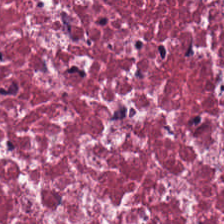20× equivalent magnification. H&E — This field is tumor stroma.
